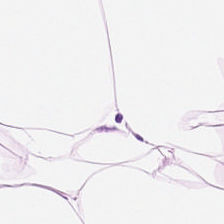H&E-stained tissue section.
This patch shows adipose.
